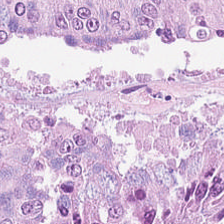Hematoxylin-and-eosin stained section — Finding → tumor epithelium.
